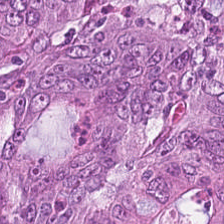0.5 µm/px · hematoxylin and eosin · formalin-fixed paraffin-embedded section. Predominant tissue — adenocarcinoma.
